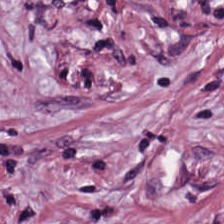WSI patch · H&E-stained tissue section. This patch shows tumor-associated stroma.
